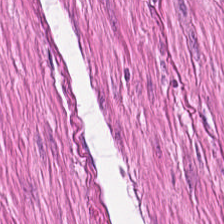Whole-slide-image patch · H&E stain.
Q: What does this patch show?
A: This is smooth-muscle tissue.
